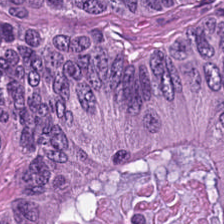H&E.
Impression → malignant epithelium.
